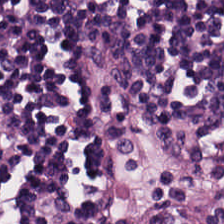Stain: H&E stain.
Tissue type: lymphocyte aggregate.
